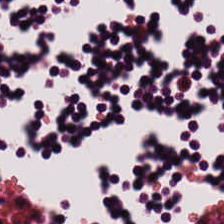H&E stain · brightfield.
Q: What does this patch show?
A: Lymphocytic infiltrate.
